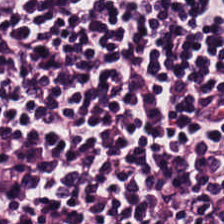H&E stain. Tissue class — lymphocyte aggregate.
